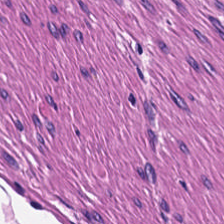H&E-stained tissue section — Predominant tissue — smooth muscle.
